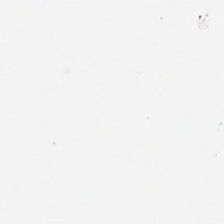Hematoxylin-and-eosin stained section — Q: What is shown here?
A: This is background (no tissue).
